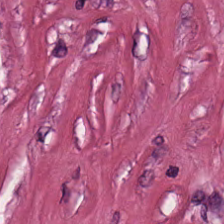H&E stain. 20× equivalent magnification. Whole-slide-image patch — Q: What tissue is shown?
A: The field shows desmoplastic stroma.
